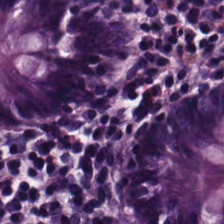Hematoxylin-and-eosin stained section. The tissue here is benign colonic mucosa.
